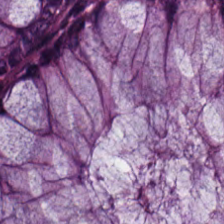H&E. The predominant tissue is non-neoplastic colon mucosa.
